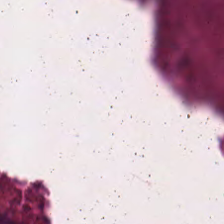Hematoxylin and eosin — Histology → necrotic debris.
